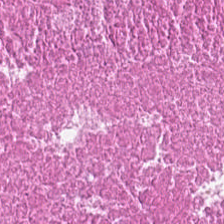Hematoxylin and eosin.
Classification — necrotic debris.
